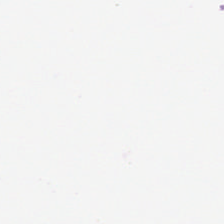Stain: H&E.
Tile size: 224×224 pixel tile.
Preparation: FFPE.
Classification: background (no tissue).
